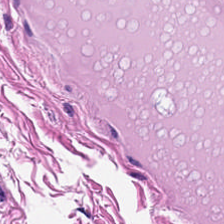Predominantly smooth muscle.
